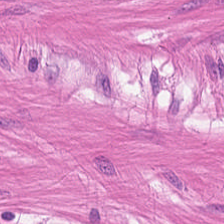Q: Identify the tissue.
A: It is smooth-muscle tissue.
